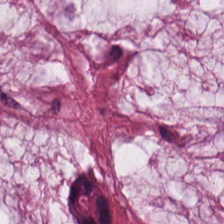Whole-slide-image patch. Hematoxylin-and-eosin stained section — Q: What is the predominant tissue type?
A: This is extracellular mucin.
